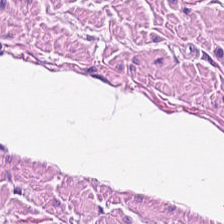H&E-stained tissue section · 0.5 microns per pixel · brightfield microscopy — Impression — smooth-muscle tissue.
